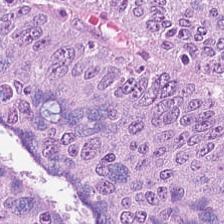Q: What type of tissue is this?
A: This is adenocarcinoma.
